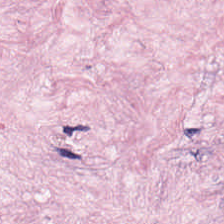Hematoxylin-and-eosin stained section. Predominant tissue = tumor-associated stroma.
